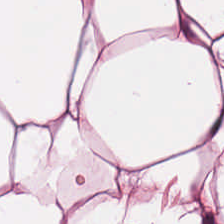Stain: H&E-stained tissue section.
Tissue: adipose.
